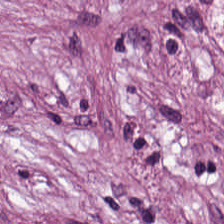Stain: H&E stain.
Tissue class: desmoplastic stroma.
